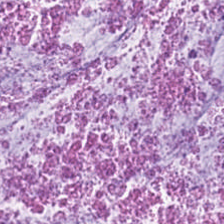224×224 px tile; H&E stain.
Predominant tissue = extracellular mucin.
